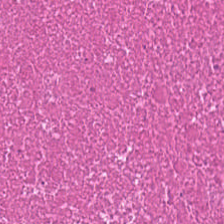H&E stain.
Showing cellular debris.
